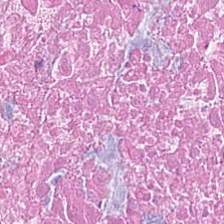H&E-stained tissue section.
The predominant tissue is debris.
